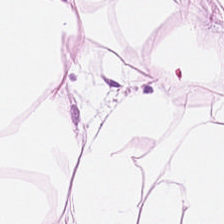Hematoxylin-and-eosin stained section. 224×224 px tile.
The tissue is adipose tissue.
